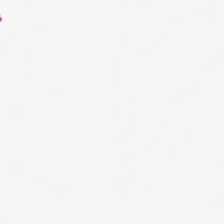Field content — background (no tissue).
